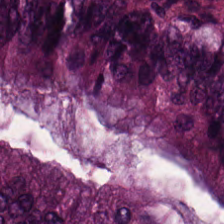Hematoxylin and eosin.
Finding → colorectal adenocarcinoma epithelium.
